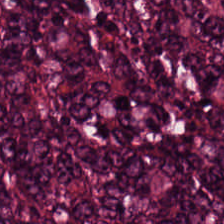Hematoxylin and eosin — Malignant epithelium.
